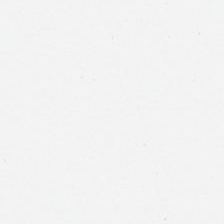Hematoxylin-and-eosin stained section. This patch shows background.
